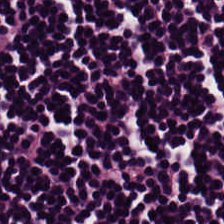Stain: hematoxylin-and-eosin stained section.
Resolution: 0.5 µm/px.
Acquisition: brightfield.
Tissue class: lymphoid infiltrate.
